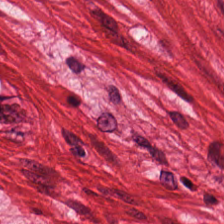Whole-slide-image patch · H&E-stained tissue section. This field is muscularis.
